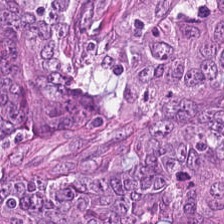H&E · FFPE tissue section · brightfield. This field is adenocarcinoma.
